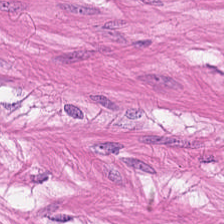Tissue = smooth-muscle tissue.
